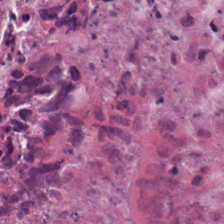Hematoxylin-and-eosin stained section.
Histology — necrotic debris.
